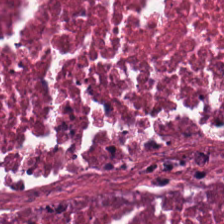Hematoxylin and eosin. Brightfield microscopy — Showing necrotic debris.
